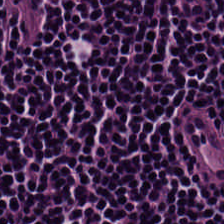Stain: hematoxylin-and-eosin stained section.
Resolution: 0.5 µm per pixel.
Tile size: 224×224 px tile.
Tissue: lymphocytic infiltrate.
